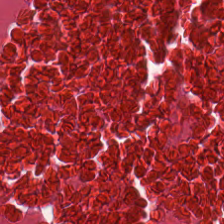Hematoxylin and eosin — The classification is necrotic debris.
